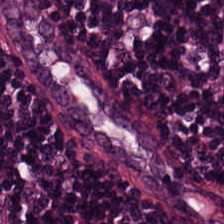H&E stain.
Tissue class — lymphocytes.
